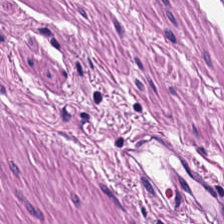H&E patch showing smooth muscle.
